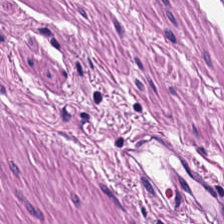H&E patch showing smooth muscle.
